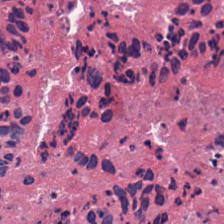Impression — debris.
